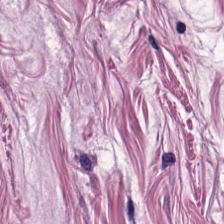Whole-slide-image patch. 224×224 px tile. H&E.
Q: What is shown here?
A: It is smooth-muscle tissue.
